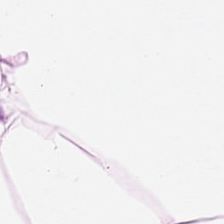H&E stain. The tissue class is adipose tissue.
